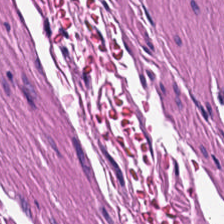H&E-stained tissue section. FFPE tissue section. 0.5 microns per pixel.
Predominantly muscularis.
